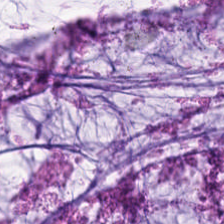H&E.
Tissue class — mucin.
